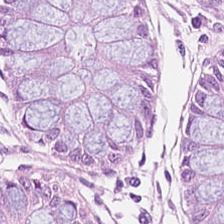Brightfield. Hematoxylin-and-eosin stained section. FFPE. Tissue class: non-neoplastic colon mucosa.
